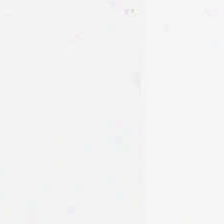Hematoxylin and eosin.
Q: What is shown in this field?
A: This is background (no tissue).
